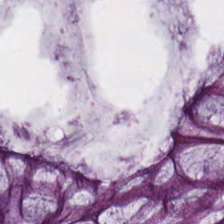The tissue here is benign colonic mucosa.
